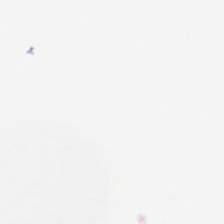Stain: hematoxylin-and-eosin stained section.
Classification: empty background.
